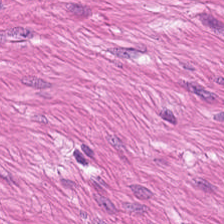Hematoxylin and eosin. Classification = smooth-muscle tissue.
